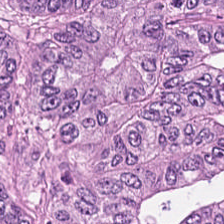Stain: H&E stain.
Tissue type: tumor epithelium.
